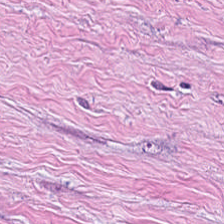This field is cancer-associated stroma.
